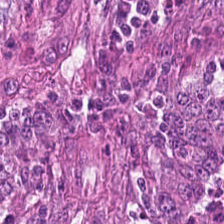The predominant tissue is adenocarcinoma.
